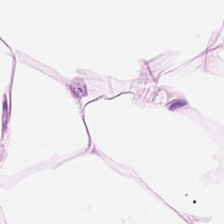Stain: hematoxylin-and-eosin stained section.
Resolution: 20× equivalent magnification.
Classification: adipose.
